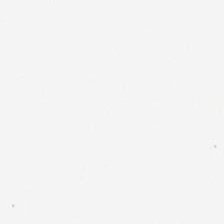H&E-stained tissue section. FFPE.
Empty background.
